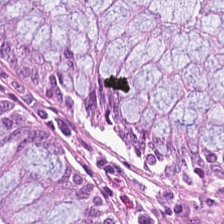Hematoxylin and eosin. Impression → normal colon mucosa.
